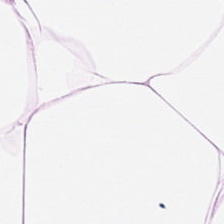H&E stain · 224×224 px patch. Q: What tissue type is shown here?
A: Adipocytes.
